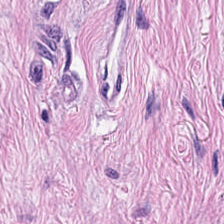H&E-stained tissue section.
Predominant tissue — tumor-associated stroma.
